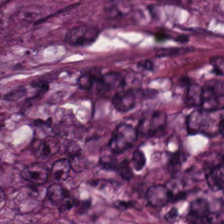H&E.
Q: What is shown here?
A: The field shows colorectal adenocarcinoma epithelium.
